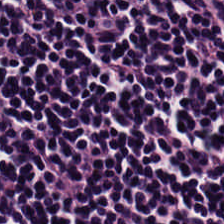H&E-stained tissue section — Predominantly lymphocytes.
